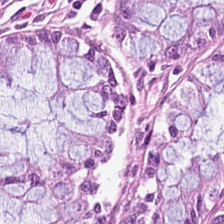224×224 px patch; hematoxylin-and-eosin stained section. The predominant tissue is normal colonic mucosa.
